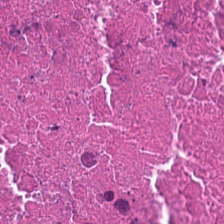0.5 microns per pixel · H&E-stained tissue section.
Cellular debris.
